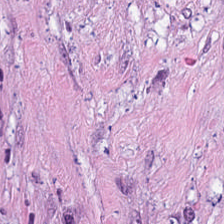H&E-stained tissue section — Tissue = tumor stroma.
